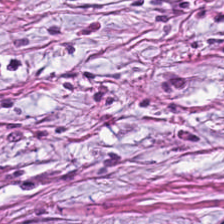Stain: H&E-stained tissue section.
Acquisition: brightfield.
Classification: cancer-associated stroma.
